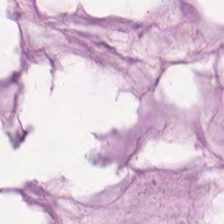H&E stain. Predominant tissue = mucus.
